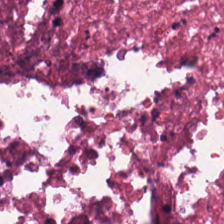H&E. WSI patch — Tissue — cellular debris.
